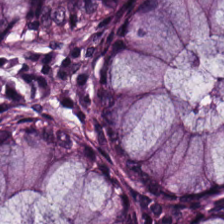H&E-stained tissue section · 224×224 px patch · 20× equivalent magnification. The predominant tissue is non-neoplastic colon mucosa.
